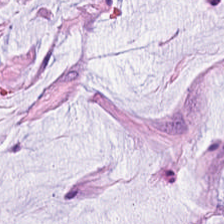Stain: hematoxylin-and-eosin stained section.
Acquisition: brightfield microscopy.
Tissue class: mucus.
